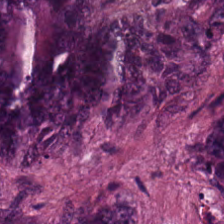Brightfield microscopy; H&E stain; 0.5 microns per pixel.
The predominant tissue is colorectal adenocarcinoma epithelium.
